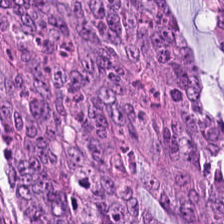0.5 µm/px · hematoxylin and eosin · 224×224 px patch. Showing tumor epithelium.
